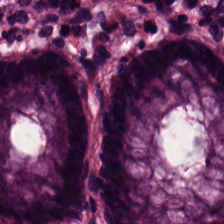0.5 microns per pixel; H&E-stained tissue section; FFPE. Q: Identify the tissue.
A: The field shows normal colon mucosa.
